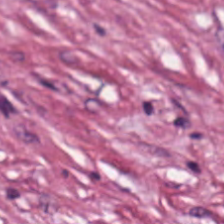H&E-stained tissue section · formalin-fixed paraffin-embedded section — Histology — desmoplastic stroma.
